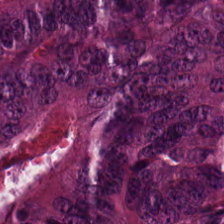H&E stain · 224×224 pixel tile · 0.5 microns per pixel.
This field is colorectal adenocarcinoma epithelium.
